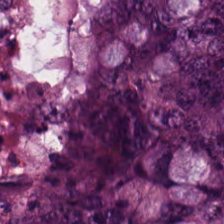FFPE tissue section. H&E.
Q: What is shown here?
A: This is colorectal adenocarcinoma.
